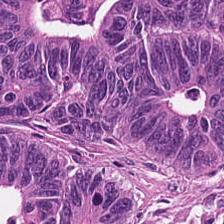Hematoxylin and eosin · 224×224 px tile.
The tissue here is adenocarcinoma.
